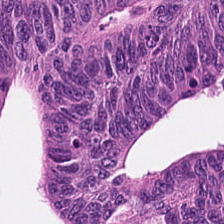Stain: hematoxylin and eosin.
Preparation: formalin-fixed paraffin-embedded section.
Tissue type: adenocarcinoma.
